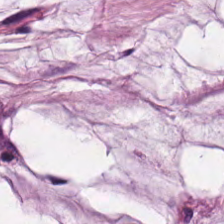H&E stain.
Predominant tissue: mucin.
